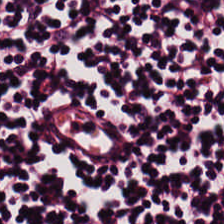Stain: hematoxylin-and-eosin stained section.
Tile size: 224×224 pixel tile.
Preparation: FFPE.
Tissue class: lymphoid infiltrate.
